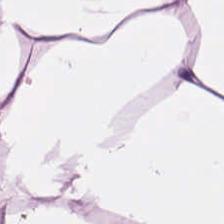H&E stain. Brightfield.
Showing adipose tissue.
